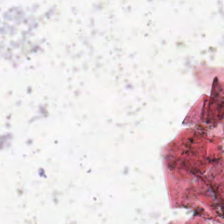Stain: hematoxylin and eosin.
Tile size: 224×224 pixel tile.
Content: background (no tissue).
